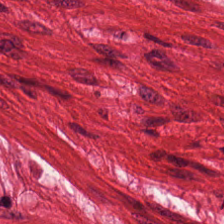WSI patch; hematoxylin and eosin; 0.5 µm/px.
The tissue here is smooth muscle.
